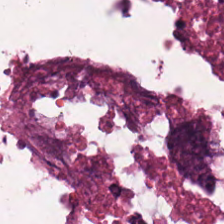H&E — This field is cellular debris.
